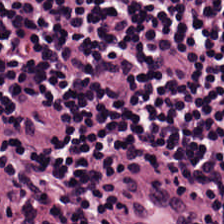FFPE. H&E-stained tissue section.
The predominant tissue is lymphoid infiltrate.
